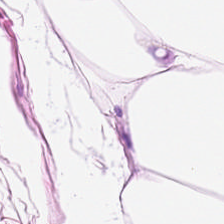Stain: H&E-stained tissue section.
Tissue class: adipocytes.
